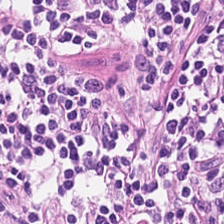H&E patch showing lymphocyte aggregate.
